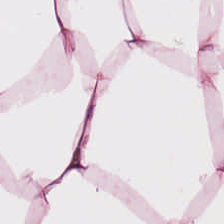Hematoxylin-and-eosin stained section. Histology — fat tissue.
